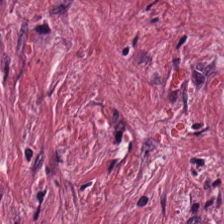Hematoxylin-and-eosin stained section. Q: What is shown in this field?
A: The field shows tumor-associated stroma.
